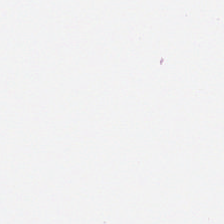H&E stain. Empty field — empty background.
